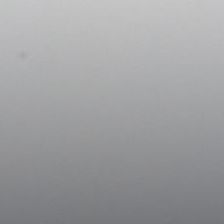Hematoxylin-and-eosin stained section; 20× equivalent magnification. Impression → no tissue.
